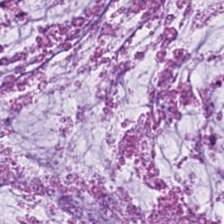The tissue class is mucus.
